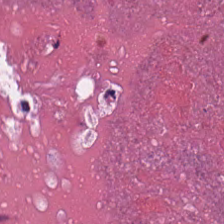Tissue class: debris.
